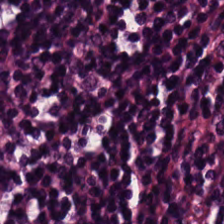Hematoxylin and eosin. Lymphocytes.
